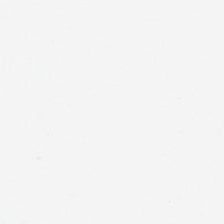Stain: H&E stain.
Resolution: 0.5 microns per pixel.
Acquisition: WSI patch.
Field content: background.
